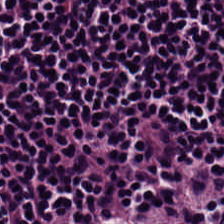FFPE tissue section; H&E stain.
Q: What does this patch show?
A: It is lymphocytes.
